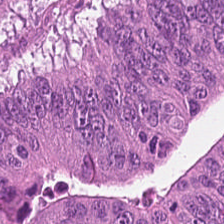Hematoxylin-and-eosin stained section. The predominant tissue is tumor epithelium.
